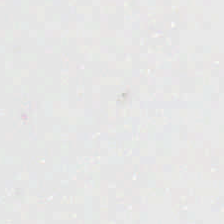Hematoxylin and eosin — No tissue present; background only.
